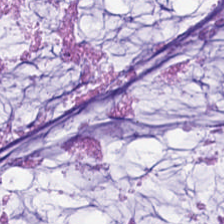H&E stain — Tissue class: mucus.
